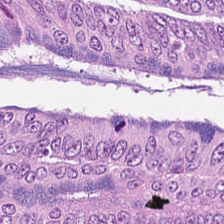H&E-stained tissue section. Q: Identify the tissue.
A: The field shows colorectal adenocarcinoma.
